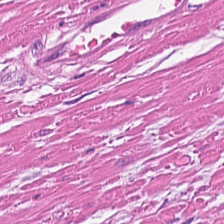224×224 px tile. Brightfield microscopy. H&E-stained tissue section.
Predominant tissue — smooth muscle.
